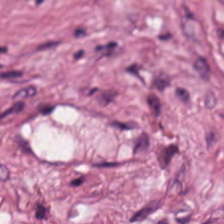H&E.
The tissue class is cancer-associated stroma.
